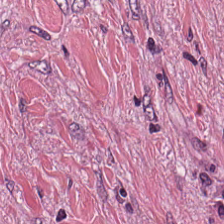Tumor stroma.
